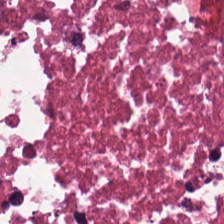224×224 pixel tile; hematoxylin and eosin — The tissue class is cellular debris.
